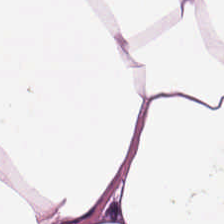H&E stain · brightfield microscopy · 224×224 px patch.
The predominant tissue is adipose tissue.
